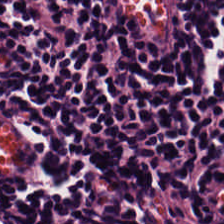H&E — lymphocytes.
